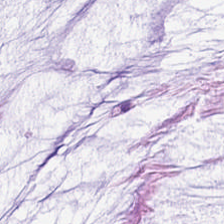H&E — Predominantly mucus.
